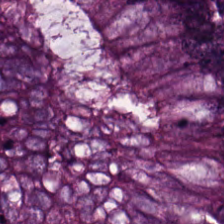H&E stain; formalin-fixed paraffin-embedded section; 224×224 pixel tile — Q: What is shown in this field?
A: Colorectal adenocarcinoma epithelium.
